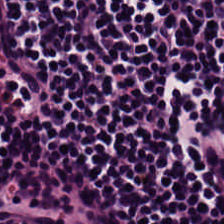H&E stain.
Q: Identify the tissue.
A: Lymphocyte aggregate.
